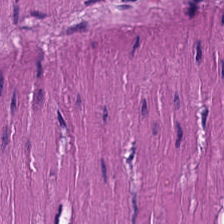224×224 px tile. H&E stain. FFPE.
The predominant tissue is smooth-muscle tissue.
